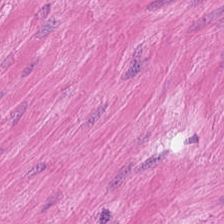Brightfield. 224×224 px patch. H&E stain.
Impression — muscularis.
